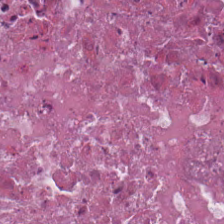Brightfield microscopy · H&E stain. Classification: cellular debris.
